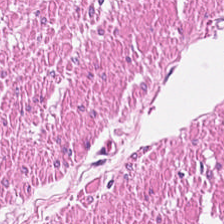H&E-stained section; the field shows smooth-muscle tissue.
